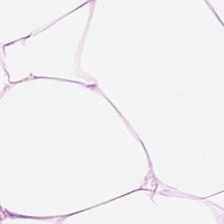Classification — fat tissue.
